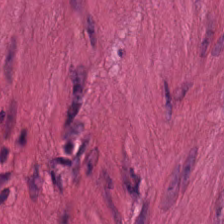Predominantly smooth muscle.
